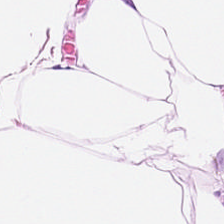Hematoxylin and eosin; brightfield; FFPE tissue section.
Q: What tissue type is shown here?
A: It is adipose tissue.
